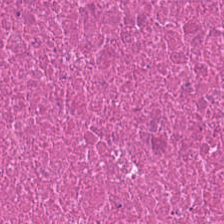FFPE; hematoxylin and eosin. Impression → necrotic debris.
